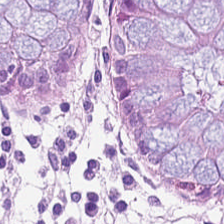FFPE. H&E-stained tissue section — Predominantly normal colon mucosa.
